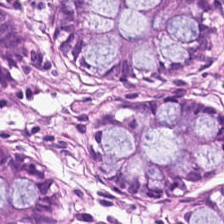Stain: H&E.
Classification: normal colon mucosa.
